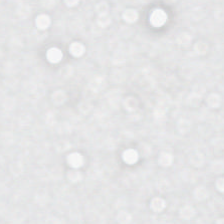224×224 pixel tile · H&E stain.
Content = background (no tissue).
